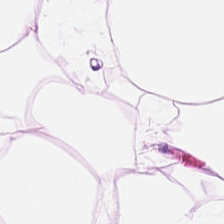Predominantly adipocytes.
